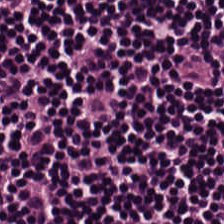The tissue type is lymphocyte aggregate.
